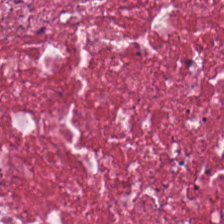Hematoxylin and eosin · 224×224 px tile · 20× equivalent magnification — {"tissue_type": "desmoplastic stroma"}
